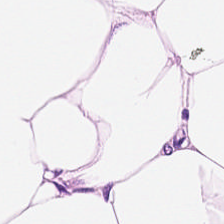H&E — adipose tissue.
